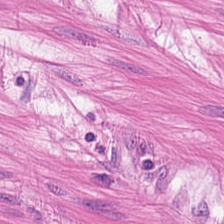Hematoxylin-and-eosin stained section. This field is muscularis.
